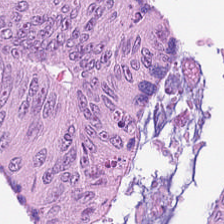This field is malignant epithelium.
